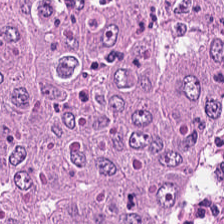FFPE tissue section · H&E stain. Q: Classify this patch.
A: It is tumor epithelium.
